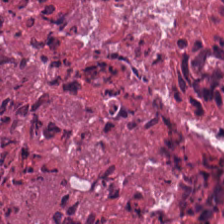20× equivalent magnification. H&E stain.
Tissue class — cellular debris.
